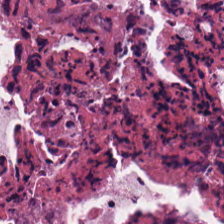H&E stain · 224×224 pixel tile.
Predominantly cellular debris.
